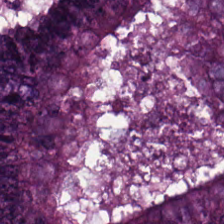Q: What tissue is shown?
A: The field shows malignant epithelium.
